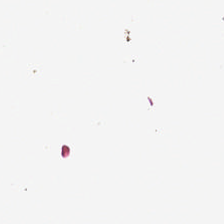H&E — Q: What does this patch show?
A: The field shows background.
